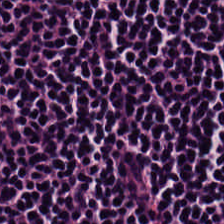WSI patch · H&E. Q: What does this patch show?
A: The field shows lymphocytic infiltrate.
